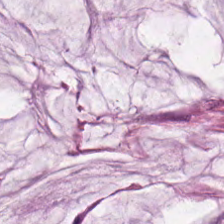H&E. Finding → mucin.
